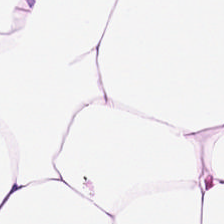Hematoxylin-and-eosin stained section — The tissue here is adipocytes.
